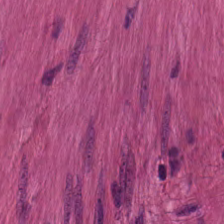0.5 µm per pixel; H&E-stained tissue section; 224×224 pixel tile. Q: What type of tissue is this?
A: It is smooth muscle.
